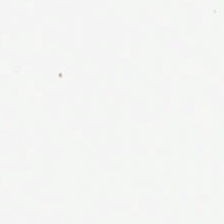Background.
